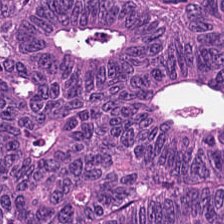Hematoxylin and eosin. Showing colorectal adenocarcinoma epithelium.
